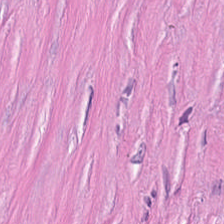{"tissue_type": "tumor stroma"}
